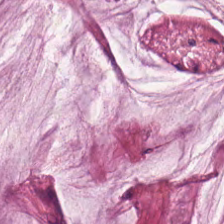H&E. Brightfield.
Q: What is the predominant tissue type?
A: The field shows mucus.
